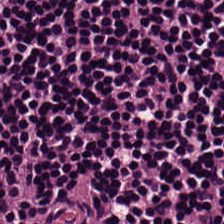H&E stain; WSI patch; FFPE — This patch shows lymphocytes.
